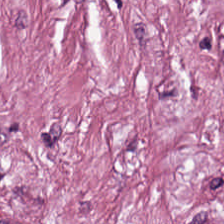H&E stain. Tissue class — desmoplastic stroma.
